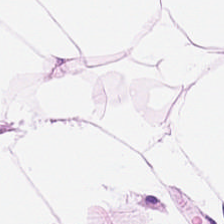H&E. Tissue type = fat tissue.
